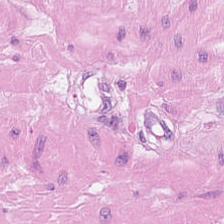H&E-stained tissue section.
Classification — smooth-muscle tissue.
